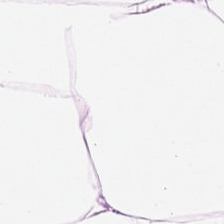Hematoxylin and eosin. This field is adipose.
